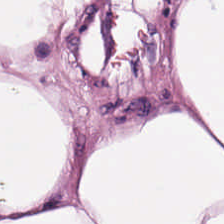Brightfield · 224×224 pixel tile · H&E-stained tissue section.
Impression → fat tissue.
